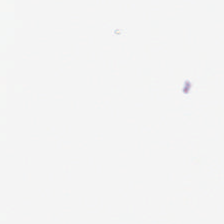Finding → background.
